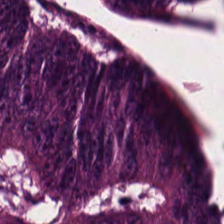Hematoxylin and eosin. Q: What is shown in this field?
A: It is colorectal adenocarcinoma epithelium.
